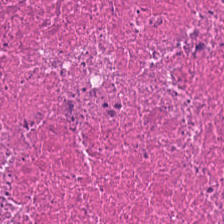Hematoxylin-and-eosin stained section — Histology → necrotic debris.
